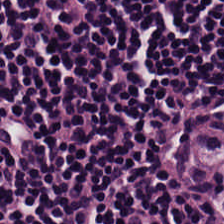H&E stain. Formalin-fixed paraffin-embedded section. The tissue class is lymphocyte aggregate.
